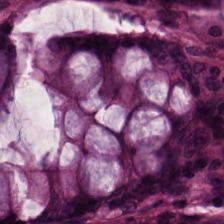Stain: hematoxylin and eosin.
Classification: non-neoplastic colon mucosa.
